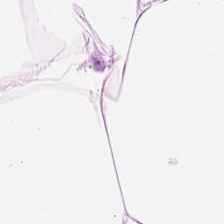224×224 px tile. WSI patch. H&E stain — This field is adipocytes.
